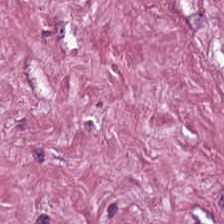Classification = tumor stroma.
